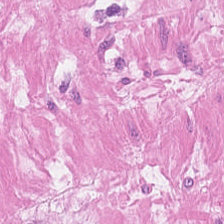This field is muscularis.
